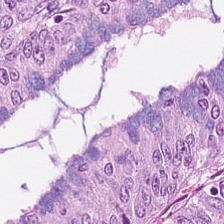Hematoxylin-and-eosin stained section. This patch shows tumor epithelium.
